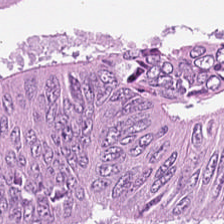H&E. 224×224 px tile. 0.5 µm per pixel — Tissue type: colorectal adenocarcinoma epithelium.
